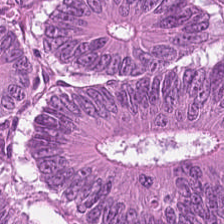Stain: hematoxylin and eosin.
Tile size: 224×224 px tile.
Classification: tumor epithelium.
